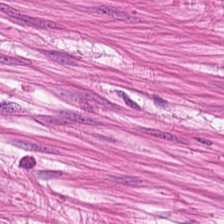H&E-stained tissue section.
Classification — smooth-muscle tissue.
